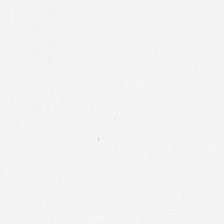Hematoxylin-and-eosin stained section.
{"content": "no tissue"}
